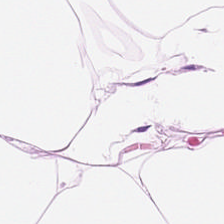H&E stain — {"tissue_type": "adipose"}
